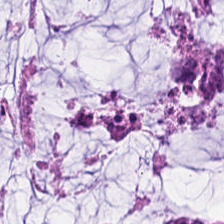224×224 pixel tile; H&E.
Q: What is shown here?
A: This is mucus.
